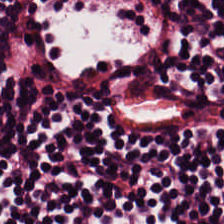Hematoxylin and eosin.
The predominant tissue is lymphocyte aggregate.
